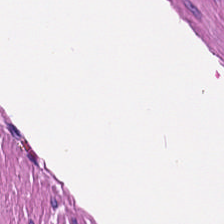H&E — Showing smooth muscle.
